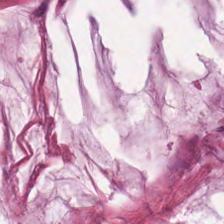Brightfield microscopy. 224×224 px tile. Hematoxylin-and-eosin stained section.
Predominant tissue = mucin.
